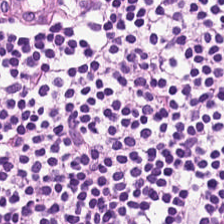Histology — lymphocytic infiltrate.
